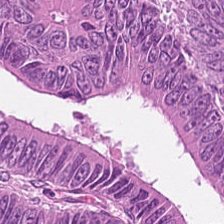Stain: hematoxylin-and-eosin stained section.
Tile size: 224×224 px patch.
Tissue: colorectal adenocarcinoma epithelium.
